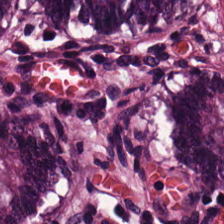0.5 µm/px. Hematoxylin-and-eosin stained section — This patch shows non-neoplastic colon mucosa.
